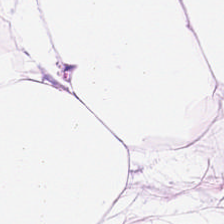H&E. Showing fat tissue.
